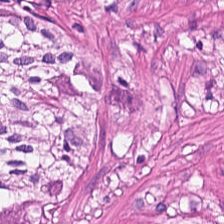H&E — smooth-muscle tissue.
